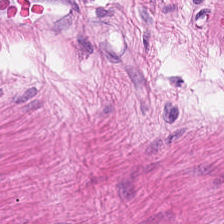Stain: hematoxylin and eosin.
Predominant tissue: smooth-muscle tissue.
